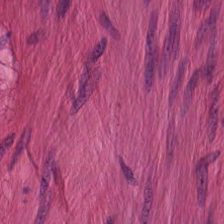Hematoxylin-and-eosin section: smooth-muscle tissue.
